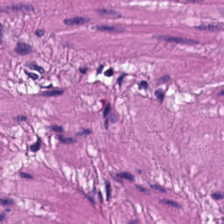H&E-stained tissue section — The classification is smooth muscle.
